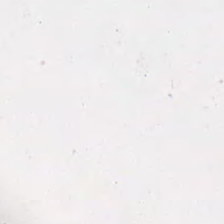Brightfield. H&E — Background — no tissue in this field.
